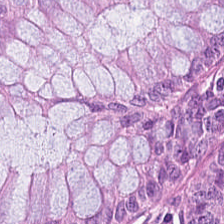Brightfield · H&E. The tissue is benign colonic mucosa.
